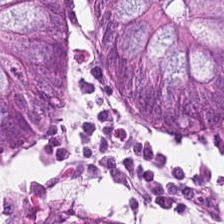Stain: H&E.
Acquisition: brightfield microscopy.
Tissue type: non-neoplastic colon mucosa.
